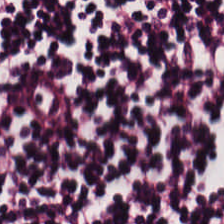Stain: hematoxylin-and-eosin stained section.
Resolution: 0.5 µm per pixel.
Tissue: lymphocytes.
